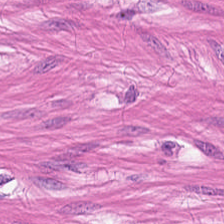H&E.
Q: What does this patch show?
A: It is muscularis.
